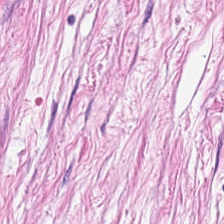Q: Identify the tissue.
A: The field shows tumor stroma.
